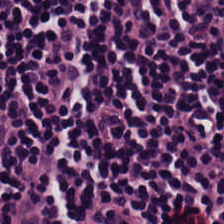H&E stain — Q: What type of tissue is this?
A: Lymphocytes.
